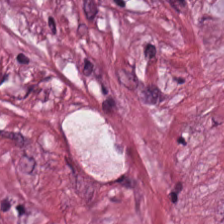Hematoxylin-and-eosin stained section. This patch shows tumor-associated stroma.
